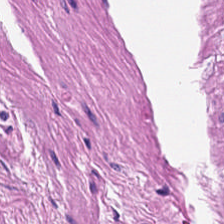224×224 pixel tile. H&E-stained tissue section. Q: What type of tissue is this?
A: Smooth muscle.
